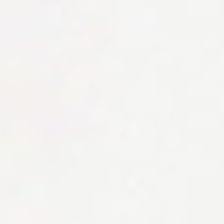Hematoxylin-and-eosin stained section.
Background.
